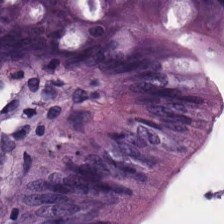Tissue class — benign colonic mucosa.
